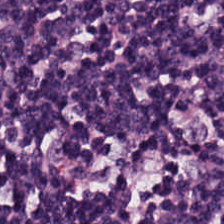Stain: H&E stain.
Predominant tissue: lymphoid infiltrate.
